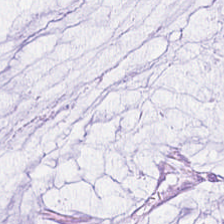This field is extracellular mucin.
